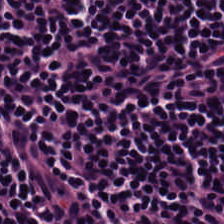Tissue = lymphocyte aggregate.
